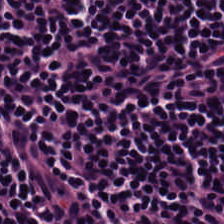Tissue = lymphocyte aggregate.
